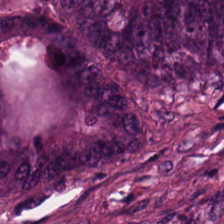224×224 pixel tile; H&E-stained tissue section; 0.5 µm per pixel — Q: What tissue type is shown here?
A: Colorectal adenocarcinoma.
